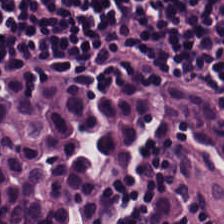H&E-stained tissue section. 224×224 px tile. FFPE — {"tissue_type": "lymphocytes"}
